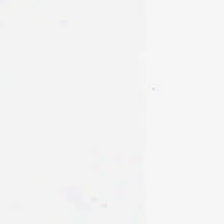Stain: H&E-stained tissue section.
Content: empty background.
